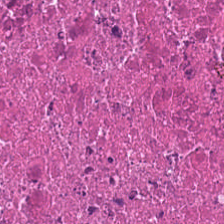H&E; 20× equivalent magnification; whole-slide-image patch.
Classification = cellular debris.
